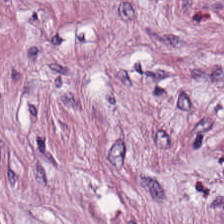H&E-stained tissue section; 224×224 px tile.
Tissue — tumor-associated stroma.
